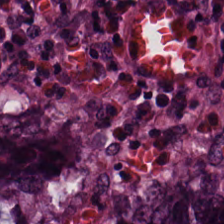Tissue class — colorectal adenocarcinoma epithelium.
